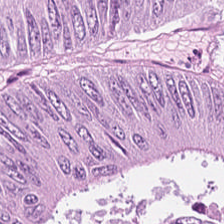H&E stain · brightfield microscopy — This patch shows adenocarcinoma.
